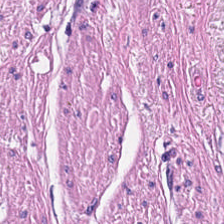Stain: H&E.
Tile size: 224×224 px tile.
Preparation: FFPE.
Tissue: muscularis.
